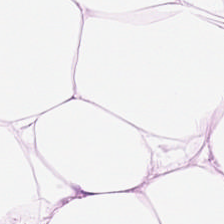Hematoxylin and eosin — Predominant tissue: adipose.
